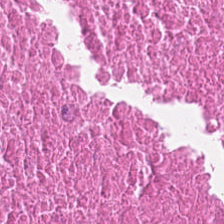H&E stain. Tissue type: debris.
